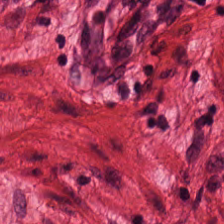Q: Classify this patch.
A: It is muscularis.
